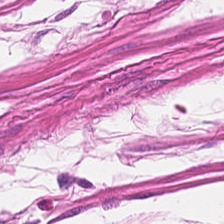H&E-stained tissue section — Q: What type of tissue is this?
A: This is smooth muscle.
